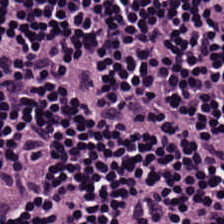Hematoxylin-and-eosin stained section — Finding → lymphocyte aggregate.
